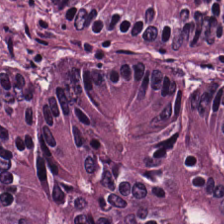H&E stain. FFPE — The tissue is colorectal adenocarcinoma.
